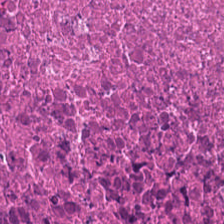Hematoxylin-and-eosin stained section — {"tissue_type": "debris"}
